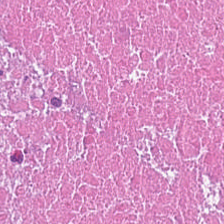Formalin-fixed paraffin-embedded section · H&E stain.
Classification = cellular debris.
